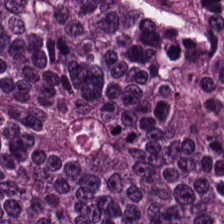Hematoxylin and eosin — This patch shows colorectal adenocarcinoma.
